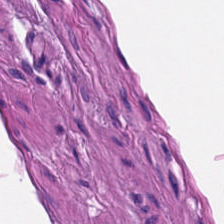FFPE · H&E — The tissue here is muscularis.
